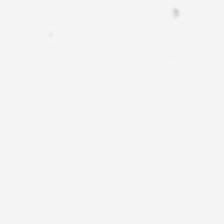Hematoxylin-and-eosin stained section. Histology → background.
